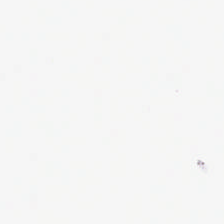H&E-stained tissue section.
Histology → no tissue.
